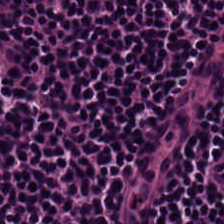Showing lymphocytes.
